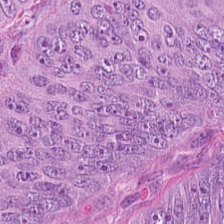Q: Identify the tissue.
A: Adenocarcinoma.
